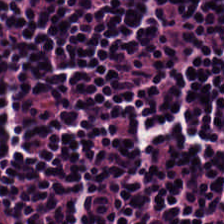Histology — lymphocytic infiltrate.
